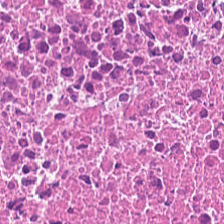Tissue class = cellular debris.
